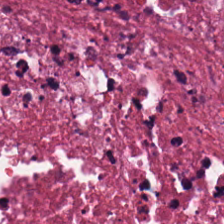Stain: hematoxylin and eosin.
Resolution: 20× equivalent magnification.
Predominant tissue: necrotic debris.
